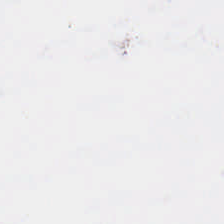H&E; formalin-fixed paraffin-embedded section.
Empty field — background (no tissue).
